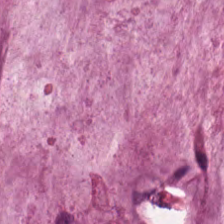224×224 px patch · hematoxylin and eosin.
Q: Classify this patch.
A: This is mucus.
